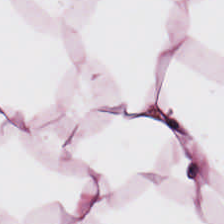Hematoxylin-and-eosin stained section; 20× equivalent magnification; whole-slide-image patch.
Finding → adipocytes.
